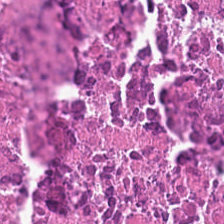0.5 µm per pixel; H&E stain; brightfield microscopy.
{"tissue_type": "debris"}
